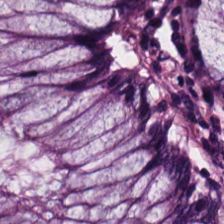Whole-slide-image patch. H&E stain — The classification is normal colonic mucosa.
